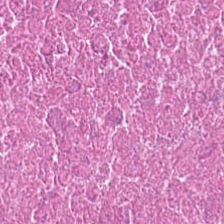Hematoxylin and eosin · 0.5 µm/px · brightfield. This patch shows necrotic debris.
